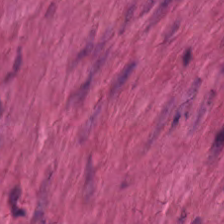Hematoxylin-and-eosin stained section · formalin-fixed paraffin-embedded section — Q: Classify this patch.
A: This is smooth muscle.
